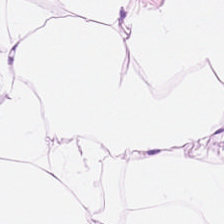H&E. Predominantly adipose tissue.
